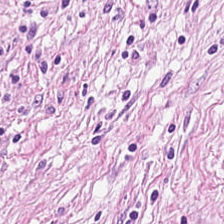The classification is cancer-associated stroma.
